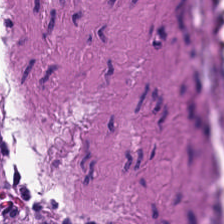Stain: hematoxylin and eosin.
Tissue type: smooth muscle.
